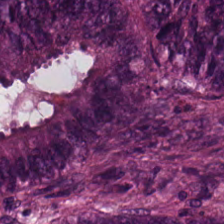Hematoxylin and eosin — Finding — colorectal adenocarcinoma.
